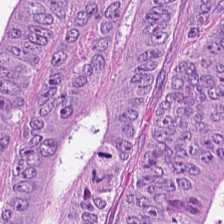FFPE tissue section. H&E stain. Showing malignant epithelium.
